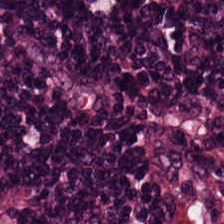WSI patch; H&E.
Histology — lymphocytic infiltrate.
